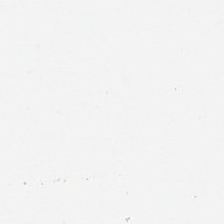Stain: H&E-stained tissue section.
Preparation: FFPE tissue section.
Field content: background.
